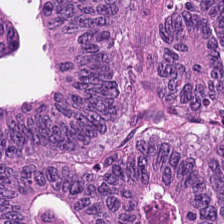Adenocarcinoma.
